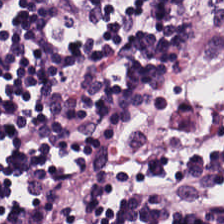The predominant tissue is lymphocyte aggregate.
